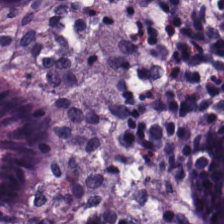Hematoxylin and eosin. The predominant tissue is normal colon mucosa.
